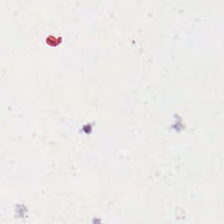Hematoxylin and eosin. Content = background.
